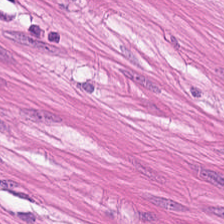Stain: H&E stain.
Acquisition: WSI patch.
Classification: smooth-muscle tissue.
